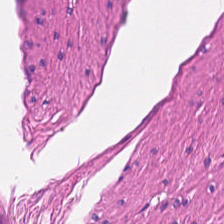H&E. 224×224 px tile.
Q: What tissue is shown?
A: The field shows muscularis.
